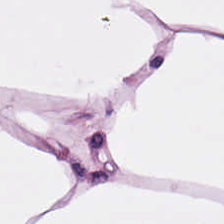Brightfield microscopy · H&E-stained tissue section · formalin-fixed paraffin-embedded section. Q: What tissue type is shown here?
A: The field shows adipocytes.
